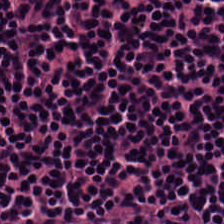H&E · 224×224 px patch. The tissue here is lymphocytes.
